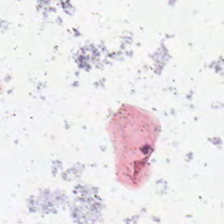H&E stain. The content is background.
